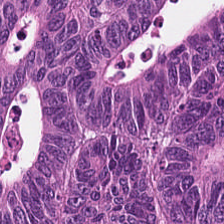Q: What does this patch show?
A: Adenocarcinoma.
